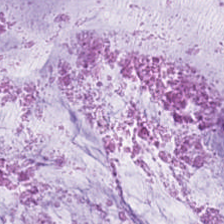H&E-stained tissue section — Impression — mucus.
